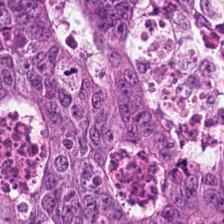H&E. The tissue here is colorectal adenocarcinoma epithelium.
